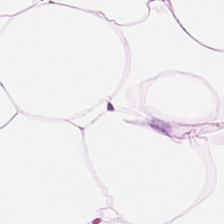H&E-stained tissue section — Fat tissue.
